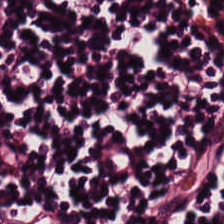Hematoxylin-and-eosin stained section.
Showing lymphocyte aggregate.
